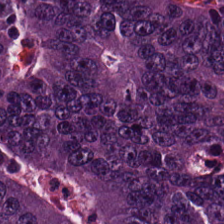Hematoxylin and eosin — Q: What type of tissue is this?
A: This is adenocarcinoma.
